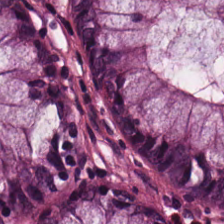H&E-stained tissue section; 224×224 px tile; 0.5 microns per pixel.
The tissue here is non-neoplastic colon mucosa.
